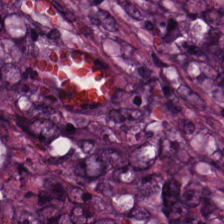FFPE. Hematoxylin-and-eosin stained section — Q: What type of tissue is this?
A: This is tumor epithelium.
